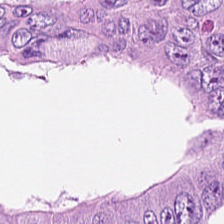H&E-stained tissue section. Showing adenocarcinoma.
